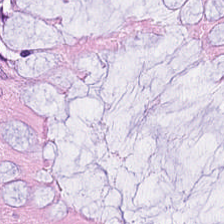Hematoxylin and eosin · 224×224 px tile · 20× equivalent magnification. The classification is normal colon mucosa.
